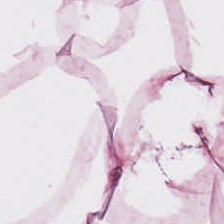H&E-stained tissue section · FFPE — Classification: fat tissue.
